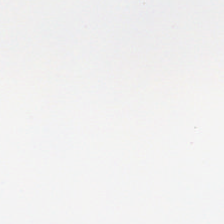Stain: hematoxylin-and-eosin stained section.
Preparation: FFPE tissue section.
Classification: empty background.
